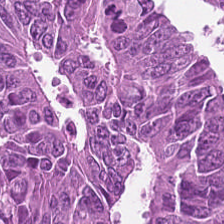Showing colorectal adenocarcinoma epithelium.
